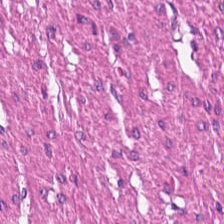0.5 µm per pixel · hematoxylin-and-eosin stained section — Finding — smooth muscle.
